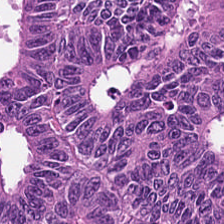Predominant tissue: adenocarcinoma.
